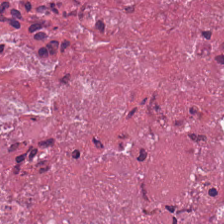224×224 px tile · hematoxylin-and-eosin stained section.
Q: What tissue is shown?
A: This is debris.
